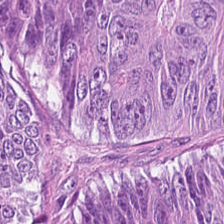Predominant tissue = adenocarcinoma.
